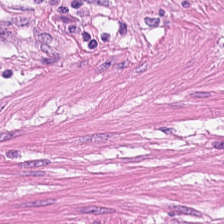FFPE. H&E-stained tissue section — Histology — muscularis.
